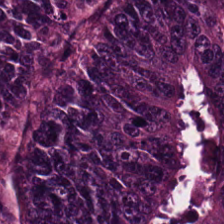H&E-stained tissue section. Whole-slide-image patch — Predominantly colorectal adenocarcinoma.
